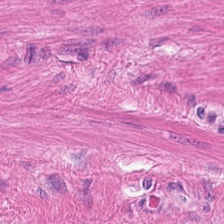224×224 px patch; H&E.
This patch shows smooth-muscle tissue.
